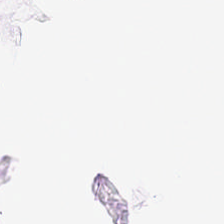H&E; 224×224 pixel tile.
Field content: no tissue.
